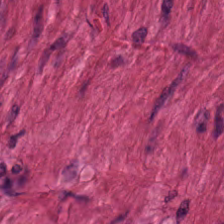H&E stain. This field is smooth-muscle tissue.
